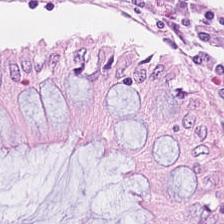Histology — non-neoplastic colon mucosa.
